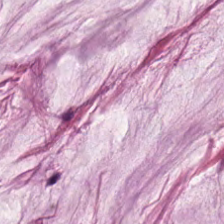20× equivalent magnification · H&E-stained tissue section — Predominantly mucin.
